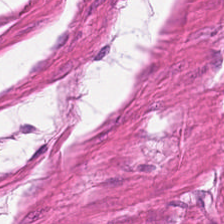The tissue type is smooth muscle.
